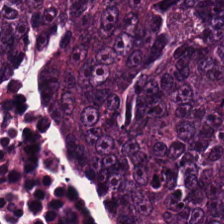Brightfield microscopy; H&E; 224×224 pixel tile — Tissue: colorectal adenocarcinoma epithelium.
